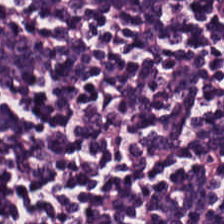Formalin-fixed paraffin-embedded section · hematoxylin and eosin · 224×224 px patch. The predominant tissue is lymphocyte aggregate.
